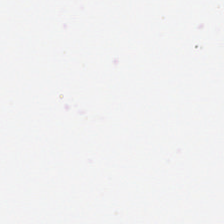224×224 pixel tile · H&E · formalin-fixed paraffin-embedded section. This field is background (no tissue).
